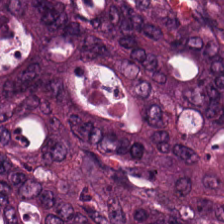H&E-stained tissue section showing malignant epithelium.
